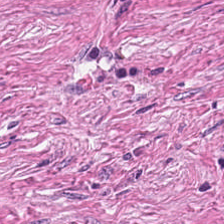Stain: H&E-stained tissue section.
Tissue: cancer-associated stroma.
